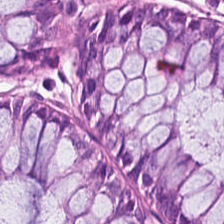Predominant tissue = normal colonic mucosa.
